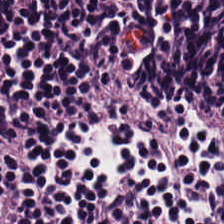H&E; 224×224 px tile.
This field is lymphocytes.
